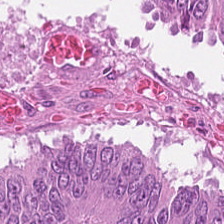H&E stain — This patch shows tumor epithelium.
